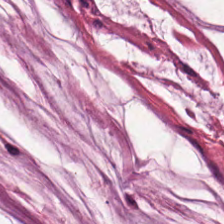Hematoxylin-and-eosin stained section.
This patch shows mucin.
